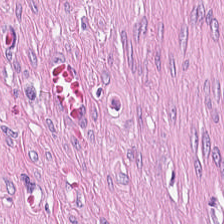H&E stain — Tissue type — cancer-associated stroma.
